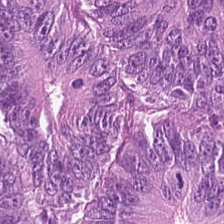H&E.
The tissue here is tumor epithelium.
